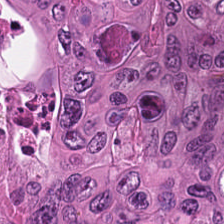Q: What type of tissue is this?
A: This is adenocarcinoma.
